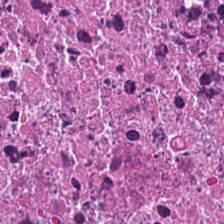Histology — debris.
